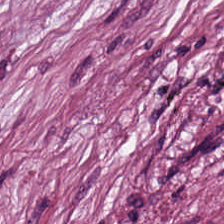Hematoxylin and eosin; 224×224 pixel tile; 20× equivalent magnification. Classification — tumor stroma.
